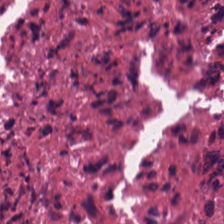Hematoxylin and eosin.
Showing cellular debris.
